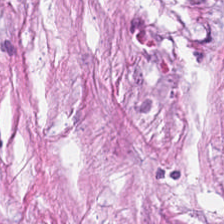Showing tumor stroma.
